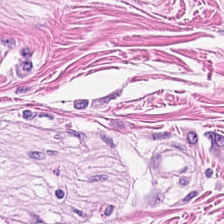The classification is smooth muscle.
